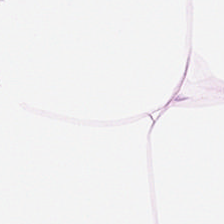Brightfield · H&E-stained tissue section. {"tissue_type": "adipose tissue"}
